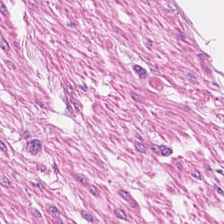Hematoxylin-and-eosin stained section. FFPE tissue section.
This patch shows muscularis.
